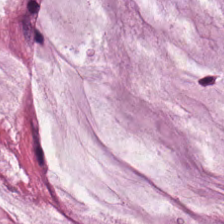Histology → extracellular mucin.
